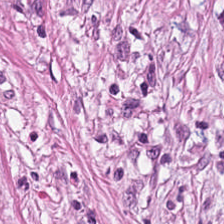Hematoxylin-and-eosin stained section. 0.5 µm/px. Brightfield — The tissue class is desmoplastic stroma.
